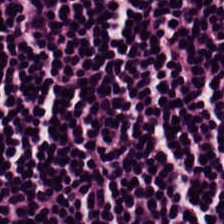H&E-stained tissue section. Brightfield microscopy. This field is lymphocytic infiltrate.
